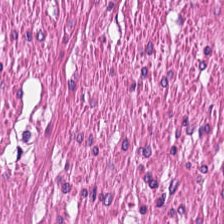Hematoxylin-and-eosin stained section — Predominant tissue — muscularis.
